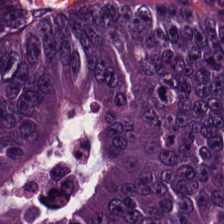H&E-stained tissue section — Impression — tumor epithelium.
